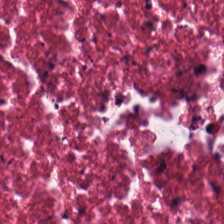224×224 px tile; hematoxylin-and-eosin stained section — The tissue is cellular debris.
